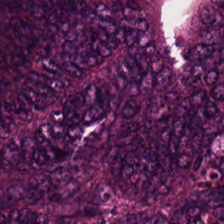H&E-stained section; the field shows colorectal adenocarcinoma.
